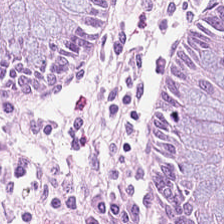Hematoxylin and eosin.
Tissue type = normal colon mucosa.
